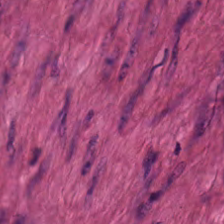H&E — Q: What is shown here?
A: The field shows muscularis.
